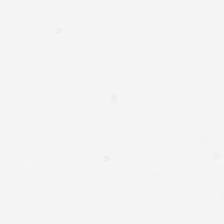0.5 microns per pixel. H&E-stained tissue section.
Classification — no tissue.
